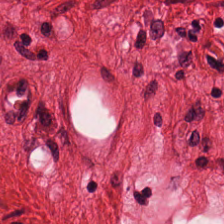Whole-slide-image patch · hematoxylin-and-eosin stained section — Tissue type — smooth muscle.
